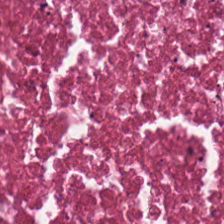H&E stain · 224×224 px patch.
This field is debris.
